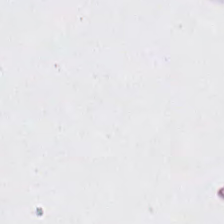Hematoxylin-and-eosin stained section · FFPE tissue section — Empty field — no tissue.
